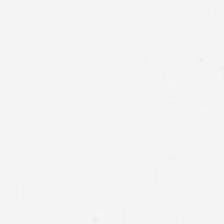H&E stain — Q: What does this patch show?
A: This is background.
